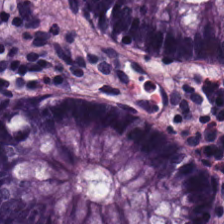Hematoxylin-and-eosin stained section.
Predominantly normal colonic mucosa.
